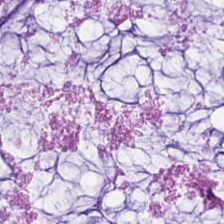Hematoxylin and eosin · brightfield microscopy — The tissue here is mucin.
